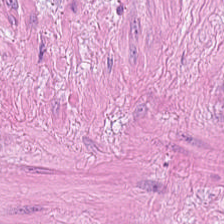Hematoxylin and eosin — Predominant tissue = smooth muscle.
